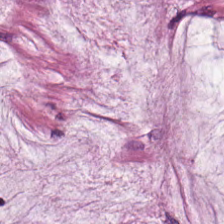Hematoxylin-and-eosin stained section; brightfield microscopy.
Tissue: mucin.
